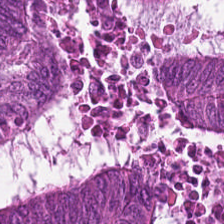H&E-stained tissue section — This field is colorectal adenocarcinoma epithelium.
